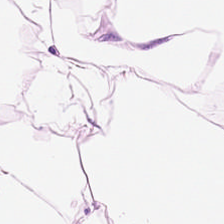Tissue class = adipocytes.
